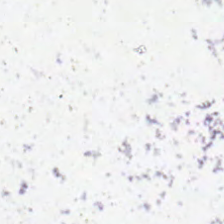No tissue present; background only.
